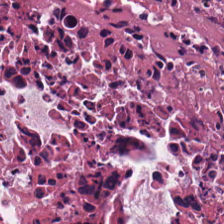FFPE tissue section; hematoxylin-and-eosin stained section — Tissue: cellular debris.
